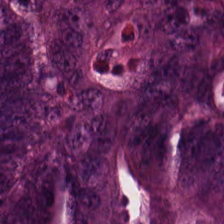Q: What does this patch show?
A: The field shows malignant epithelium.
